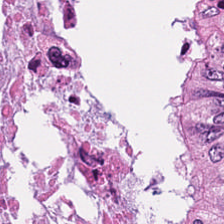H&E; FFPE; 0.5 µm per pixel.
Predominant tissue: debris.
